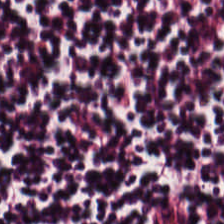H&E.
The predominant tissue is lymphocytes.
